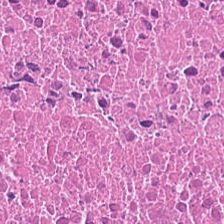Tissue type — debris.
